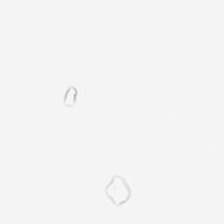Hematoxylin and eosin; 224×224 px patch. Field content = background.
